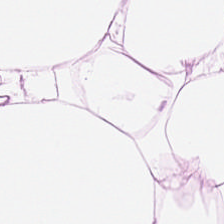WSI patch; 224×224 px patch; H&E stain.
Predominant tissue — fat tissue.
